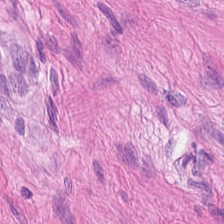Brightfield microscopy; H&E; FFPE.
Q: What tissue is shown?
A: This is smooth-muscle tissue.
